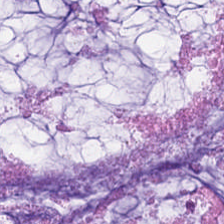Showing mucus.
